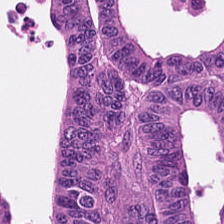H&E. Tissue — colorectal adenocarcinoma.
